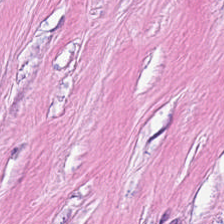Brightfield microscopy; H&E stain.
Predominantly tumor-associated stroma.
